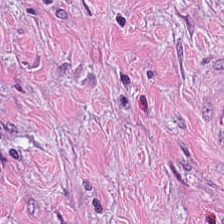H&E-stained tissue section; 224×224 px tile — The tissue here is cancer-associated stroma.
